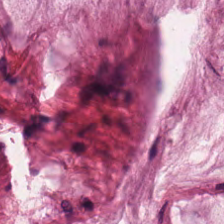Hematoxylin-and-eosin stained section; FFPE tissue section. The tissue here is mucin.
